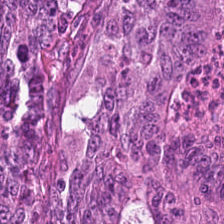H&E.
Colorectal adenocarcinoma epithelium.
